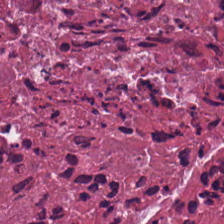Tissue type: cellular debris.
